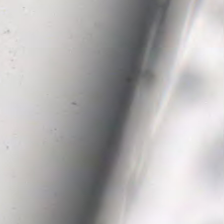Whole-slide-image patch; H&E stain — Background (no tissue).
